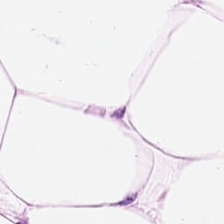H&E-stained section; the field shows adipose tissue.
